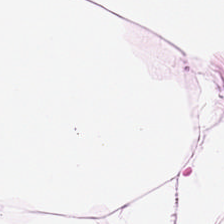H&E-stained tissue section.
Showing fat tissue.
